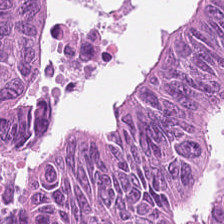Stain: H&E stain.
Tissue: adenocarcinoma.
